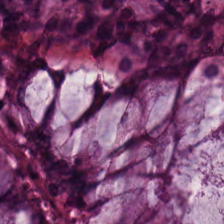Stain: H&E.
Resolution: 0.5 microns per pixel.
Tissue class: normal colon mucosa.
